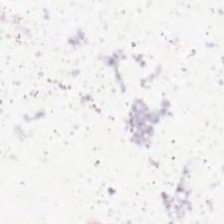Q: What is shown in this field?
A: Background.
